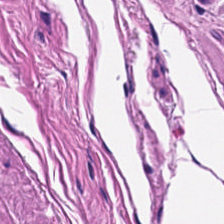0.5 microns per pixel · H&E stain.
The predominant tissue is smooth muscle.
